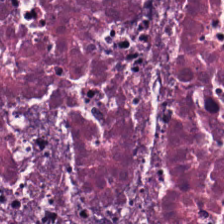H&E-stained tissue section. {"tissue_type": "debris"}
